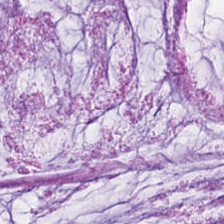Stain: hematoxylin-and-eosin stained section.
Tissue type: mucus.
